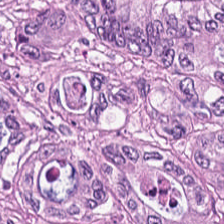Brightfield microscopy. Hematoxylin and eosin.
Tissue class: malignant epithelium.
